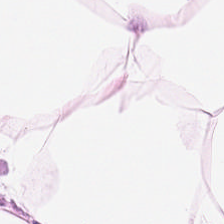H&E-stained tissue section · 224×224 pixel tile.
Predominantly adipose tissue.
